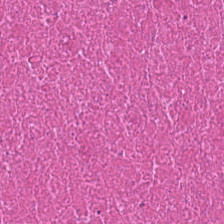Q: Classify this patch.
A: Cellular debris.
